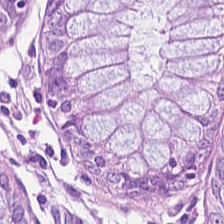H&E-stained tissue section showing normal colon mucosa.
